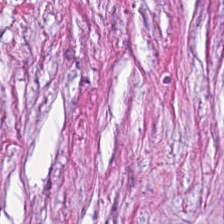Predominantly tumor stroma.
